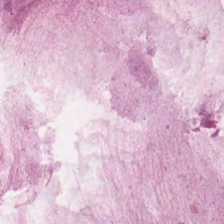Stain: hematoxylin and eosin.
Predominant tissue: mucin.
